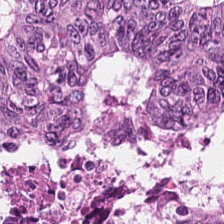Stain: H&E.
Resolution: 0.5 microns per pixel.
Tissue: colorectal adenocarcinoma epithelium.
